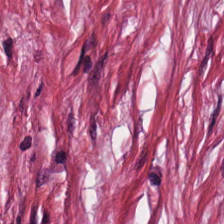Finding → tumor stroma.
